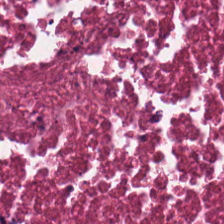The tissue here is cellular debris.
